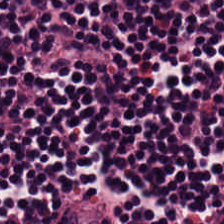224×224 px patch. Hematoxylin-and-eosin stained section — This field is lymphoid infiltrate.
